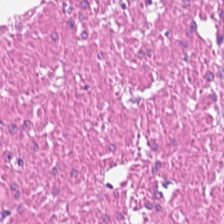Stain: hematoxylin-and-eosin stained section.
Preparation: formalin-fixed paraffin-embedded section.
Resolution: 0.5 µm/px.
Tissue type: smooth-muscle tissue.
